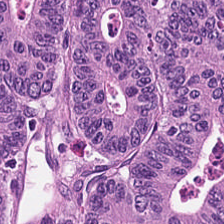Hematoxylin and eosin. 0.5 µm/px.
Classification: colorectal adenocarcinoma epithelium.
